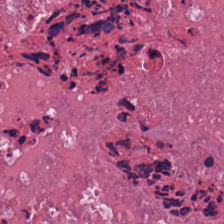Q: Classify this patch.
A: Debris.
